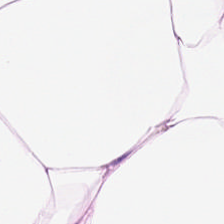Hematoxylin-and-eosin stained section — The classification is adipose.
